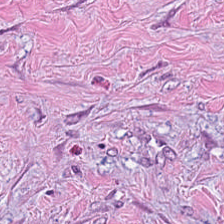H&E-stained tissue section; brightfield microscopy; 0.5 µm per pixel — Q: What is shown here?
A: Tumor-associated stroma.
